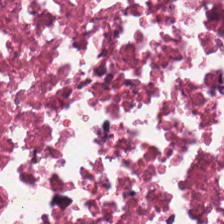H&E — Predominantly necrotic debris.
